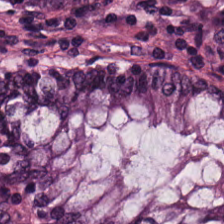H&E-stained tissue section.
The predominant tissue is non-neoplastic colon mucosa.
